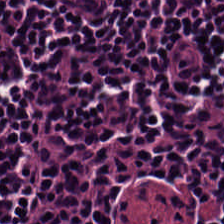H&E stain. Tissue type = lymphocytes.
